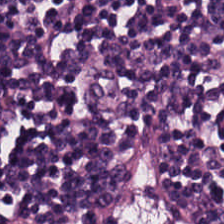Stain: H&E stain.
Tissue type: lymphocyte aggregate.
